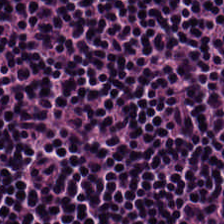Hematoxylin-and-eosin stained section; 224×224 px patch; brightfield. The predominant tissue is lymphocytes.
